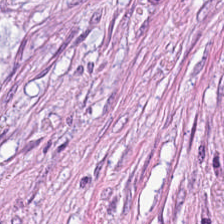Hematoxylin-and-eosin stained section — Desmoplastic stroma.
